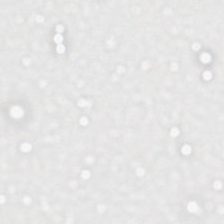224×224 px tile; hematoxylin and eosin. The content is empty background.
